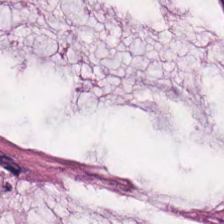0.5 µm per pixel · H&E.
The predominant tissue is extracellular mucin.
